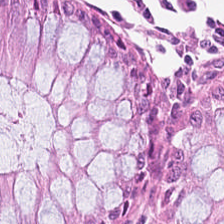Stain: H&E.
Tissue: normal colon mucosa.
